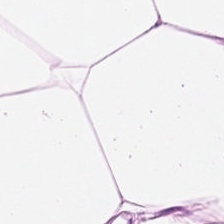Stain: H&E-stained tissue section.
Preparation: FFPE.
Tissue: fat tissue.
